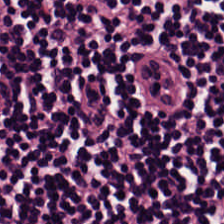H&E.
Showing lymphocyte aggregate.
